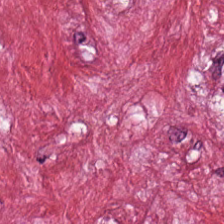20× equivalent magnification; H&E — Q: What is shown in this field?
A: This is tumor stroma.
